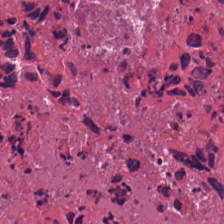Hematoxylin-and-eosin stained section.
Finding — debris.
